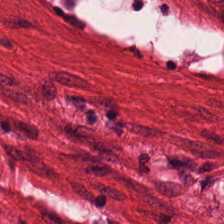Hematoxylin-and-eosin stained section. Q: What does this patch show?
A: Muscularis.
